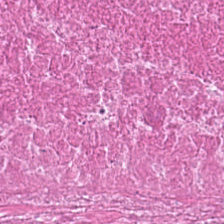H&E. FFPE. 224×224 pixel tile. Debris.
